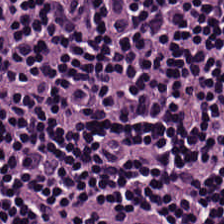WSI patch · H&E. Q: What is shown in this field?
A: This is lymphoid infiltrate.
